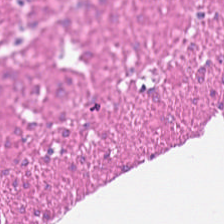Stain: H&E.
Tissue class: muscularis.
